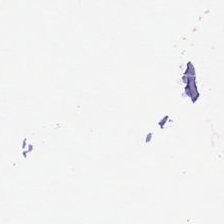H&E — Background — no tissue in this field.
